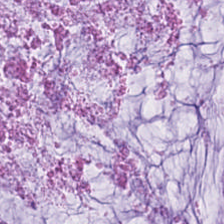H&E-stained tissue section. Extracellular mucin.
